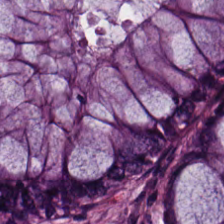H&E.
The classification is normal colon mucosa.
